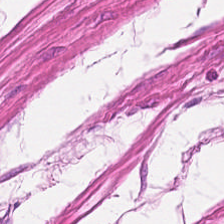Stain: H&E.
Preparation: formalin-fixed paraffin-embedded section.
Tissue type: muscularis.
